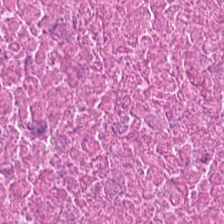H&E-stained tissue section — Q: What tissue is shown?
A: Necrotic debris.
